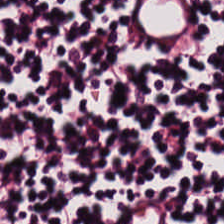H&E patch showing lymphoid infiltrate.
